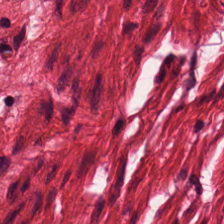224×224 pixel tile; brightfield microscopy; H&E stain.
This field is smooth muscle.
